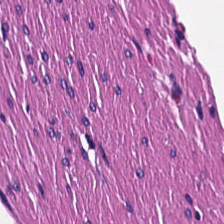Hematoxylin-and-eosin stained section · brightfield microscopy · formalin-fixed paraffin-embedded section — Q: Identify the tissue.
A: This is smooth muscle.
